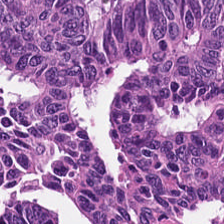Stain: H&E-stained tissue section.
Preparation: FFPE.
Tile size: 224×224 pixel tile.
Tissue type: tumor epithelium.
